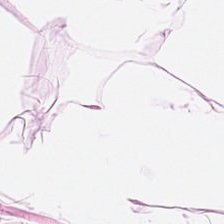Impression — adipose.
